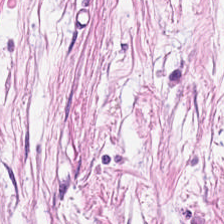Predominantly cancer-associated stroma.
